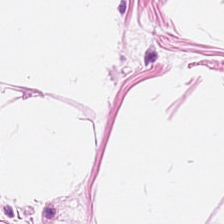Whole-slide-image patch; H&E-stained tissue section. The predominant tissue is adipose.
